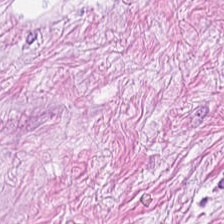{"tissue_type": "tumor-associated stroma"}
